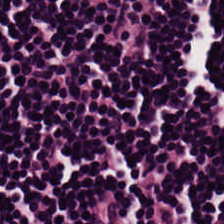H&E.
Tissue: lymphocytes.
